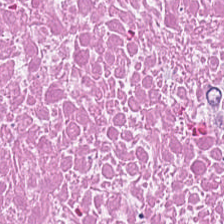Tissue class — cellular debris.
